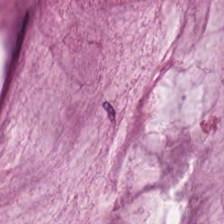Tissue class = mucus.
